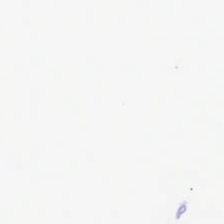H&E stain; FFPE tissue section — This patch shows no tissue.
